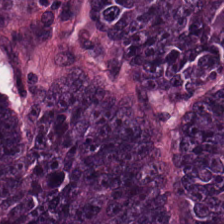The predominant tissue is colorectal adenocarcinoma.
